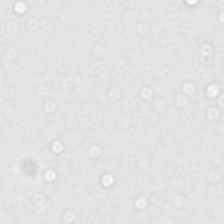Stain: hematoxylin and eosin.
Content: background (no tissue).
